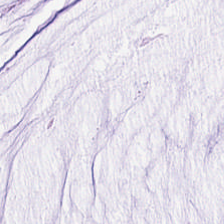H&E — Tissue: mucus.
